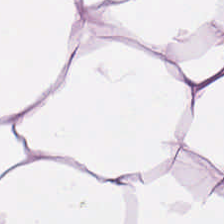0.5 microns per pixel; H&E stain; formalin-fixed paraffin-embedded section.
Impression → fat tissue.
